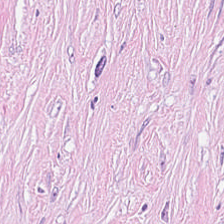H&E-stained tissue section.
Predominantly tumor-associated stroma.
